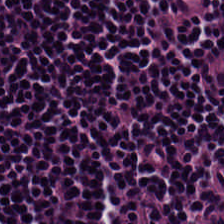H&E-stained tissue section — Histology — lymphoid infiltrate.
